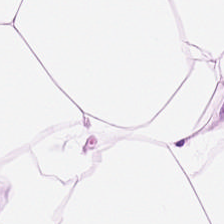Hematoxylin and eosin. 0.5 µm per pixel. FFPE — Q: What tissue is shown?
A: It is fat tissue.
